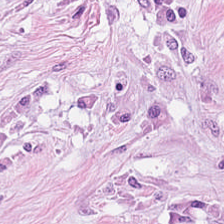Hematoxylin-and-eosin stained section — This field is desmoplastic stroma.
